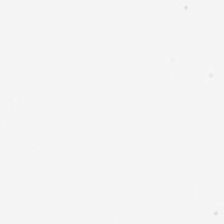H&E-stained tissue section; 0.5 microns per pixel — {"content": "no tissue"}
